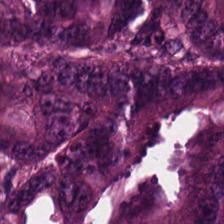H&E-stained tissue section — Tissue type — tumor epithelium.
